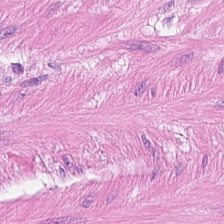Tissue — smooth muscle.
